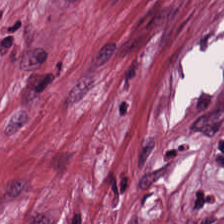Tissue = tumor stroma.
